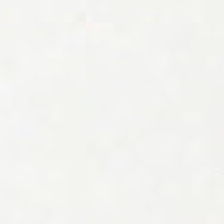224×224 px tile · 0.5 µm per pixel · hematoxylin and eosin. Field content: empty background.
